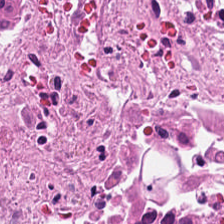Histology — necrotic debris.
